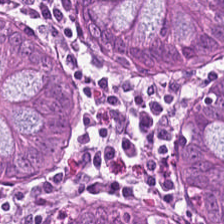Hematoxylin and eosin.
The tissue here is non-neoplastic colon mucosa.
